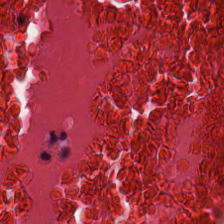H&E-stained tissue section.
Histology — cellular debris.
